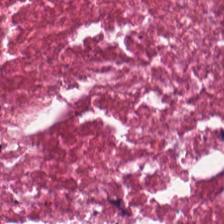Hematoxylin and eosin · 224×224 px tile. The predominant tissue is cellular debris.
